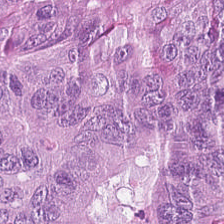Hematoxylin-and-eosin stained section.
Histology → colorectal adenocarcinoma.
